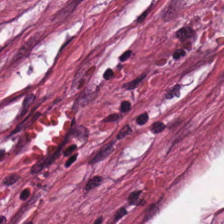Hematoxylin-and-eosin stained section — The predominant tissue is tumor-associated stroma.
